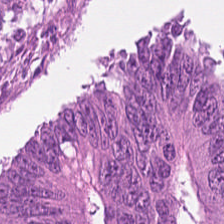224×224 pixel tile. H&E. Brightfield microscopy — This field is colorectal adenocarcinoma.
